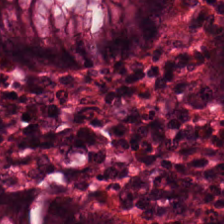224×224 pixel tile. 20× equivalent magnification. H&E stain. Q: What tissue type is shown here?
A: It is normal colon mucosa.
